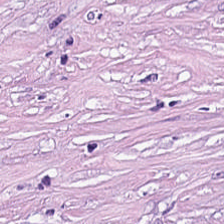H&E stain · brightfield — The predominant tissue is desmoplastic stroma.
